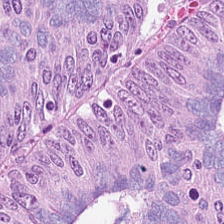H&E. Brightfield microscopy. Impression — malignant epithelium.
